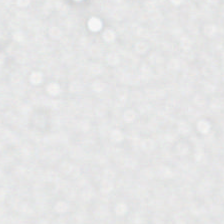Hematoxylin and eosin.
No tissue.
